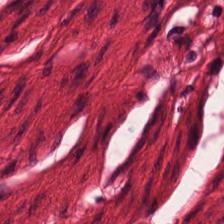H&E stain.
The tissue here is muscularis.
